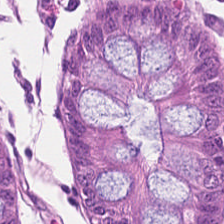Whole-slide-image patch. H&E. Finding → normal colonic mucosa.
